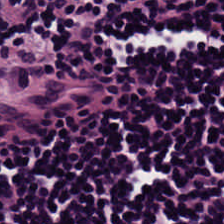H&E · 224×224 px tile — The classification is lymphocytic infiltrate.
